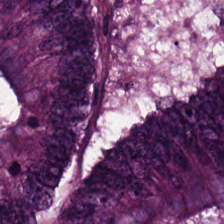Hematoxylin-and-eosin stained section.
Q: What is shown here?
A: This is adenocarcinoma.
